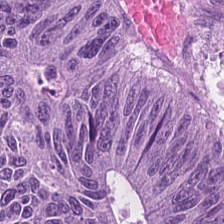Hematoxylin-and-eosin stained section.
This patch shows malignant epithelium.
